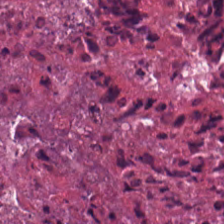Showing necrotic debris.
